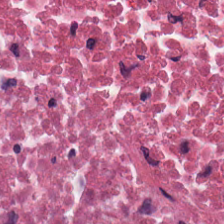Formalin-fixed paraffin-embedded section; hematoxylin-and-eosin stained section. {"tissue_type": "necrotic debris"}
